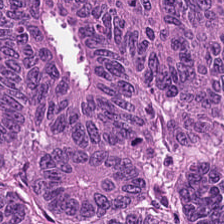Hematoxylin-and-eosin stained section · 224×224 pixel tile.
Histology → malignant epithelium.
